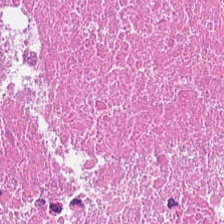Predominantly cellular debris.
